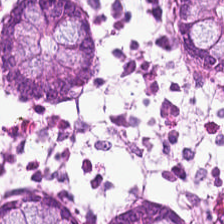Finding — benign colonic mucosa.
